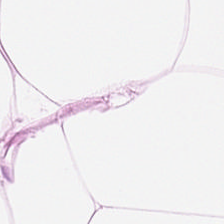Hematoxylin-and-eosin stained section. Showing adipose tissue.
